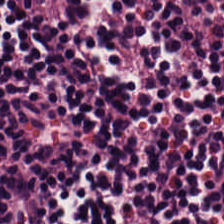WSI patch; H&E stain.
Predominant tissue = lymphocytes.
